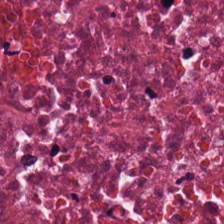Hematoxylin and eosin — Impression → necrotic debris.
